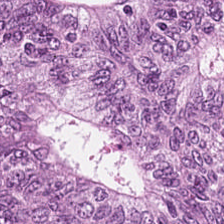H&E-stained tissue section. The predominant tissue is adenocarcinoma.
